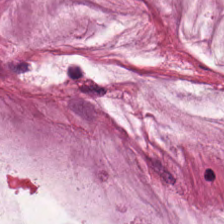Stain: H&E stain.
Tissue: mucin.
